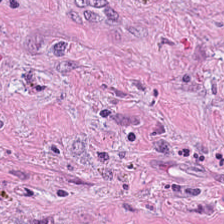Q: What type of tissue is this?
A: Tumor stroma.
